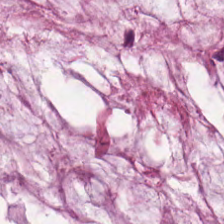Hematoxylin and eosin · 224×224 px patch — Extracellular mucin.
